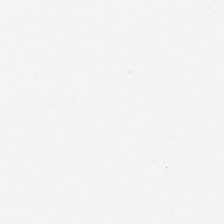Empty field — background.
